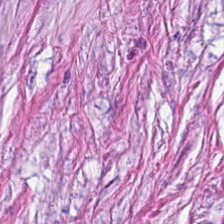Brightfield. 20× equivalent magnification. Hematoxylin-and-eosin stained section.
This patch shows cancer-associated stroma.
